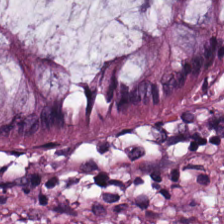Stain: H&E-stained tissue section.
Classification: non-neoplastic colon mucosa.
